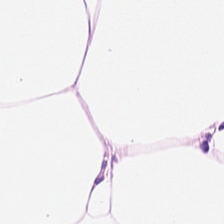Q: What is the predominant tissue type?
A: Adipose.
